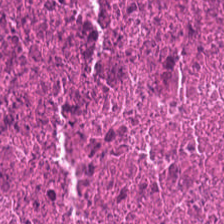H&E stain. Formalin-fixed paraffin-embedded section. Q: What does this patch show?
A: Cellular debris.
